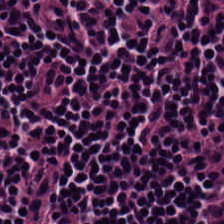H&E.
This patch shows lymphocytes.
